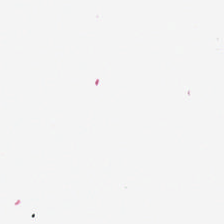Brightfield microscopy; 0.5 µm/px; H&E.
Q: What is shown here?
A: Empty background.
